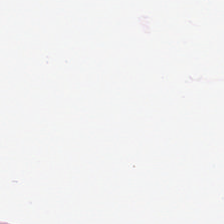Hematoxylin and eosin · formalin-fixed paraffin-embedded section.
This patch shows adipose.
